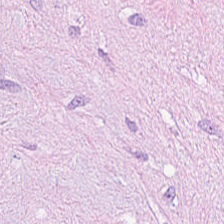Stain: hematoxylin-and-eosin stained section.
Tissue class: tumor-associated stroma.
